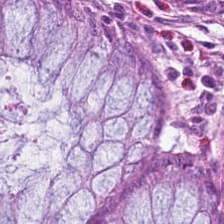H&E. FFPE — Q: What does this patch show?
A: The field shows normal colon mucosa.
